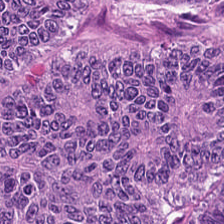224×224 pixel tile · 20× equivalent magnification · H&E stain. The predominant tissue is colorectal adenocarcinoma.
